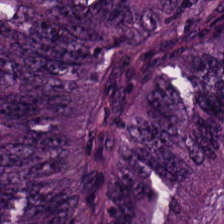Hematoxylin-and-eosin stained section.
Classification = tumor epithelium.
